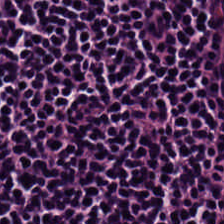H&E-stained tissue section.
Tissue = lymphocytes.
